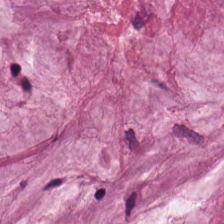224×224 pixel tile · H&E-stained tissue section — Q: What tissue is shown?
A: This is extracellular mucin.
